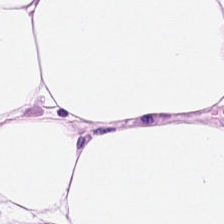Tissue class: fat tissue.
